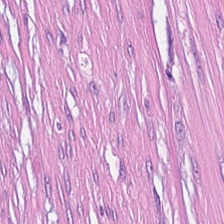H&E-stained tissue section. Whole-slide-image patch.
This field is cancer-associated stroma.
